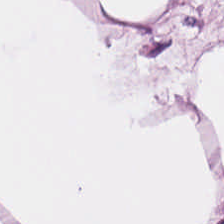H&E stain.
Showing adipocytes.
